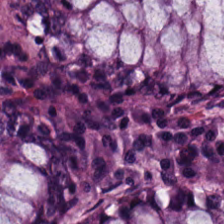Stain: H&E stain.
Tissue type: normal colon mucosa.
